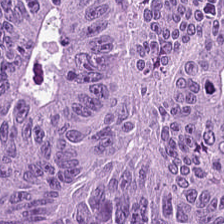Hematoxylin-and-eosin stained section. The predominant tissue is colorectal adenocarcinoma epithelium.
